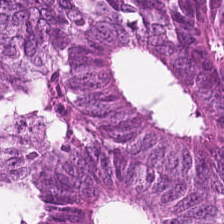Formalin-fixed paraffin-embedded section. Brightfield. Hematoxylin-and-eosin stained section. Histology → adenocarcinoma.
